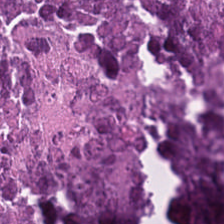This field is necrotic debris.
